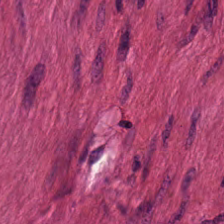Hematoxylin and eosin. Q: What is the predominant tissue type?
A: The field shows muscularis.
